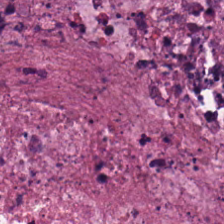Brightfield microscopy. H&E stain.
Tissue class: necrotic debris.
